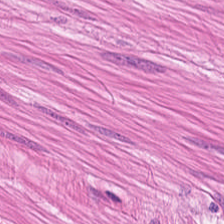H&E stain — The tissue here is smooth muscle.
